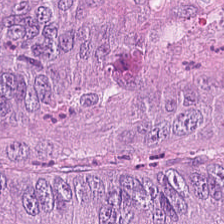Hematoxylin-and-eosin stained section.
Showing adenocarcinoma.
